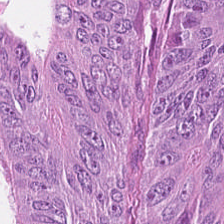H&E-stained tissue section. 0.5 µm/px.
The tissue is colorectal adenocarcinoma.
